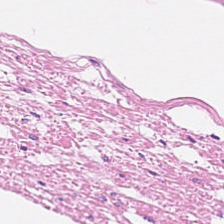Hematoxylin and eosin. Tissue type: smooth-muscle tissue.
